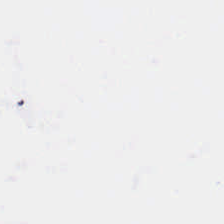Hematoxylin-and-eosin stained section.
{"content": "background"}
